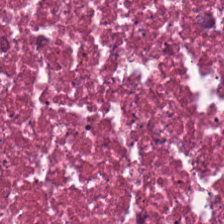Formalin-fixed paraffin-embedded section; H&E-stained tissue section; 224×224 pixel tile.
Histology — necrotic debris.
